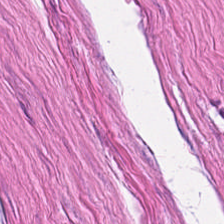H&E-stained tissue section. Q: What is shown here?
A: The field shows smooth-muscle tissue.
